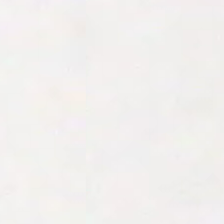Stain: H&E-stained tissue section.
Tile size: 224×224 px tile.
Preparation: FFPE.
Content: background (no tissue).
